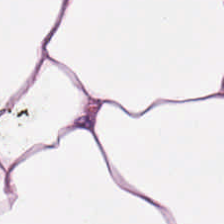H&E stain; brightfield — Classification: adipocytes.
